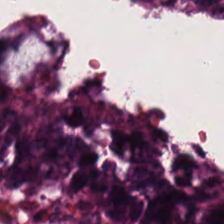H&E-stained tissue section showing tumor epithelium.
